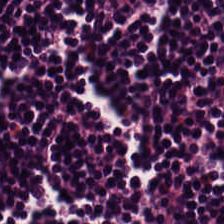Classification: lymphocyte aggregate.
